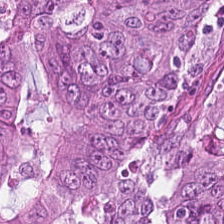H&E stain. Brightfield microscopy. 224×224 pixel tile — Impression — adenocarcinoma.
